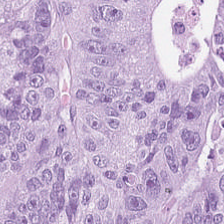H&E-stained tissue section. 0.5 µm per pixel. WSI patch.
Tissue class — tumor epithelium.
